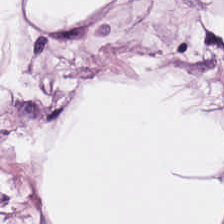Predominantly fat tissue.
